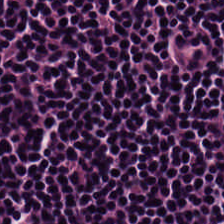{"tissue_type": "lymphocyte aggregate"}
